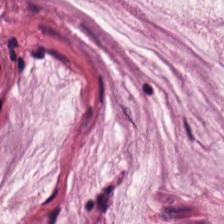Hematoxylin-and-eosin stained section · 20× equivalent magnification — Q: Identify the tissue.
A: This is extracellular mucin.
